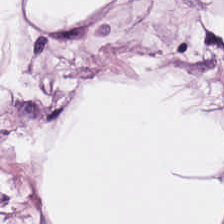Hematoxylin and eosin — Q: What tissue is shown?
A: This is fat tissue.
